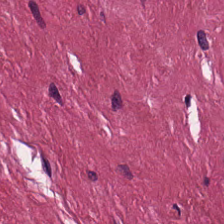H&E.
Classification = tumor-associated stroma.
